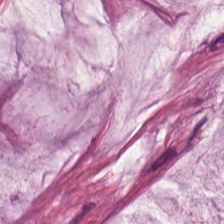Mucus.
